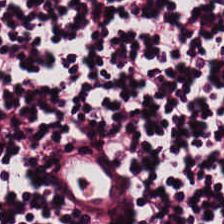WSI patch · hematoxylin and eosin · 224×224 pixel tile.
The predominant tissue is lymphoid infiltrate.
